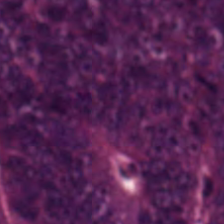Stain: H&E.
Resolution: 0.5 µm/px.
Tissue class: tumor epithelium.
